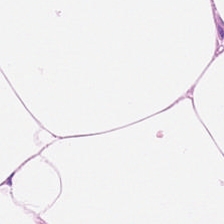H&E-stained section; the field shows adipocytes.
